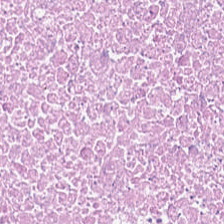The predominant tissue is debris.
